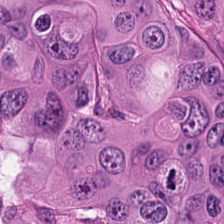Impression → colorectal adenocarcinoma.
